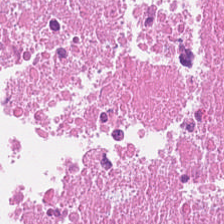Q: Identify the tissue.
A: This is cellular debris.
